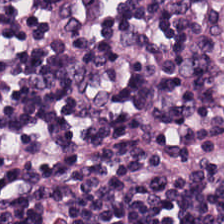The predominant tissue is lymphocyte aggregate.
